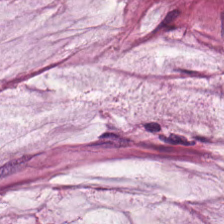H&E stain · FFPE. The tissue is mucin.
